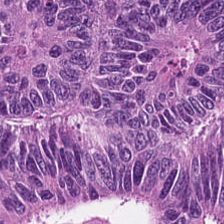Hematoxylin-and-eosin stained section — The predominant tissue is malignant epithelium.
